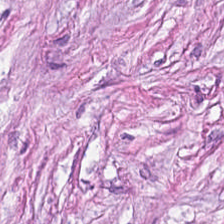0.5 µm per pixel. H&E stain. Showing tumor-associated stroma.
